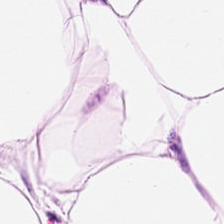FFPE; H&E; 224×224 px patch.
Adipocytes.
